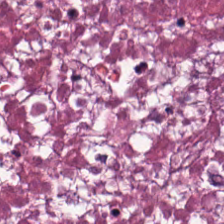0.5 µm per pixel · H&E stain.
Tissue type = necrotic debris.
